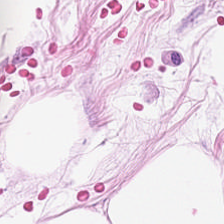H&E.
The tissue type is adipose.
